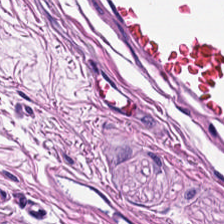Hematoxylin-and-eosin stained section. Brightfield microscopy.
This field is muscularis.
